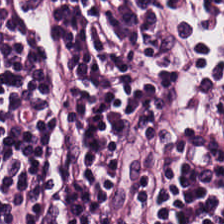H&E-stained tissue section.
The predominant tissue is lymphoid infiltrate.
